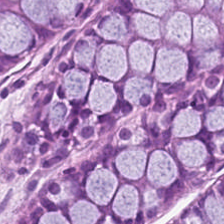{"tissue_type": "normal colon mucosa"}
